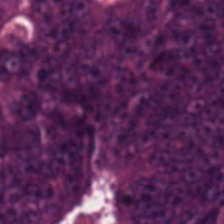H&E stain — This patch shows tumor epithelium.
